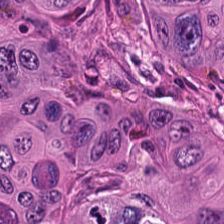H&E stain · 224×224 px tile. Tissue type: malignant epithelium.
